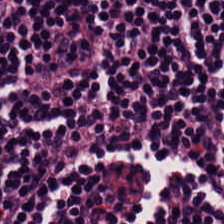H&E-stained tissue section. 0.5 µm/px — Showing lymphocytes.
